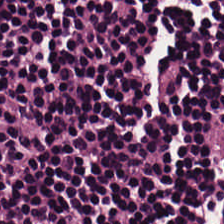Hematoxylin and eosin · 0.5 microns per pixel. Lymphocytes.
